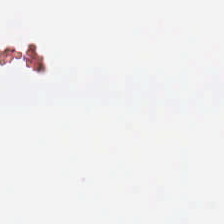FFPE tissue section. Hematoxylin and eosin. 224×224 px tile.
Content — empty background.
